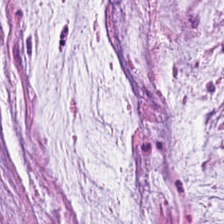H&E — Predominant tissue — mucus.
